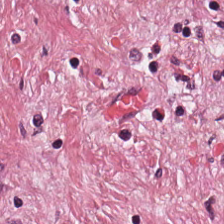Hematoxylin and eosin · 224×224 pixel tile. Finding → tumor stroma.
